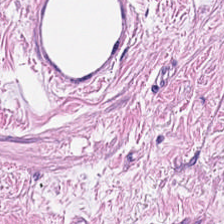H&E · 0.5 µm/px. Smooth muscle.
